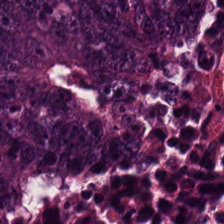H&E-stained tissue section · WSI patch. Predominantly adenocarcinoma.
